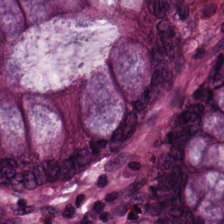Hematoxylin and eosin — The tissue here is benign colonic mucosa.
